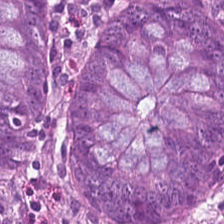H&E · FFPE tissue section — Predominant tissue = normal colonic mucosa.
